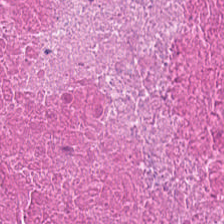H&E — Tissue type = debris.
